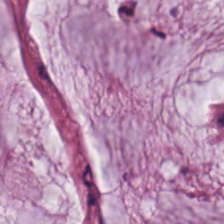H&E-stained tissue section. 0.5 µm/px — Impression — mucus.
